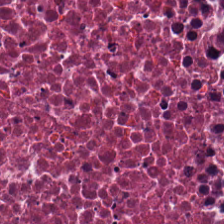Whole-slide-image patch; hematoxylin and eosin; formalin-fixed paraffin-embedded section.
Predominant tissue = cellular debris.
